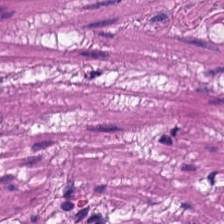This field is smooth muscle.
